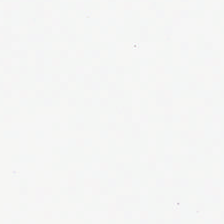H&E stain · 224×224 px patch — No tissue present; background only.
